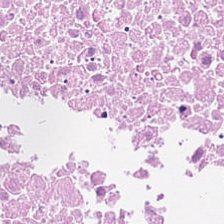Hematoxylin-and-eosin stained section · FFPE tissue section.
Predominant tissue = debris.
